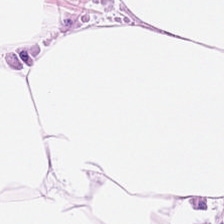H&E.
This field is adipocytes.
